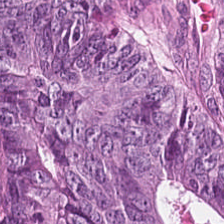Whole-slide-image patch · hematoxylin-and-eosin stained section. This patch shows colorectal adenocarcinoma.
